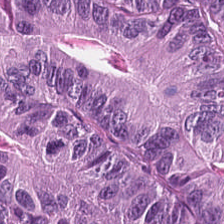Brightfield microscopy. H&E stain — The tissue here is colorectal adenocarcinoma.
